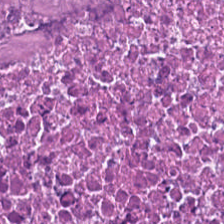H&E.
Tissue type: cellular debris.
